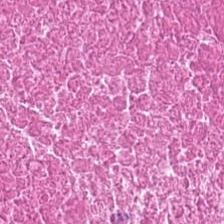WSI patch; hematoxylin and eosin — Classification — debris.
